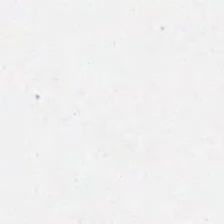Q: What is shown in this field?
A: It is background.
